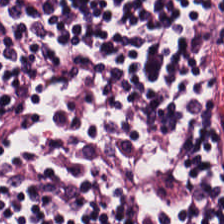FFPE · hematoxylin and eosin · 224×224 px patch.
Lymphoid infiltrate.
